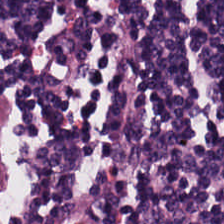Hematoxylin and eosin. Lymphocytic infiltrate.
